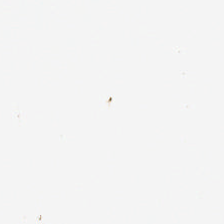0.5 microns per pixel. Hematoxylin and eosin. 224×224 pixel tile.
{"content": "background"}
